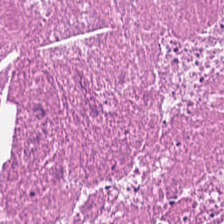20× equivalent magnification. H&E-stained tissue section. WSI patch. The predominant tissue is cellular debris.
